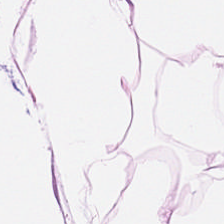Hematoxylin and eosin.
This patch shows adipocytes.
